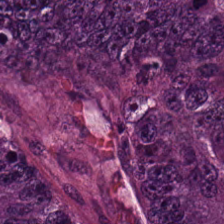H&E.
This patch shows colorectal adenocarcinoma.
